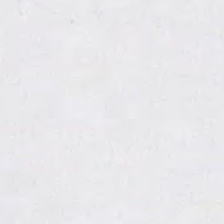Hematoxylin and eosin — Q: What is shown in this field?
A: The field shows background (no tissue).
